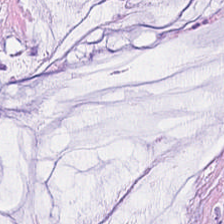Q: Classify this patch.
A: The field shows extracellular mucin.
